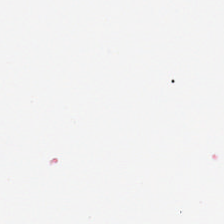Stain: hematoxylin-and-eosin stained section.
Tile size: 224×224 px tile.
Classification: empty background.
